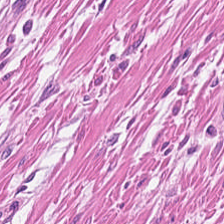224×224 pixel tile · hematoxylin-and-eosin stained section · brightfield microscopy.
Tissue class — muscularis.
